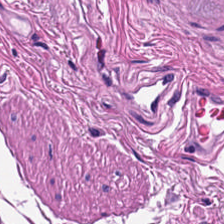Brightfield microscopy; hematoxylin-and-eosin stained section — Q: Identify the tissue.
A: It is muscularis.
